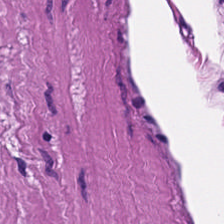20× equivalent magnification · H&E — Tissue class: muscularis.
